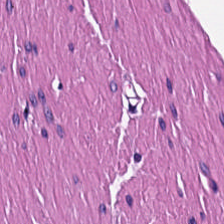Hematoxylin-and-eosin stained section. This patch shows smooth-muscle tissue.
